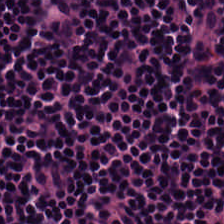Brightfield microscopy. Hematoxylin-and-eosin stained section. Finding — lymphocytes.
